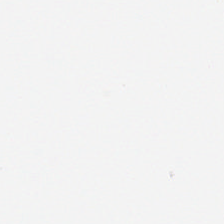Empty field — empty background.
